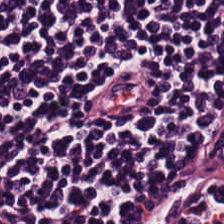H&E stain. Q: What is the predominant tissue type?
A: The field shows lymphoid infiltrate.
